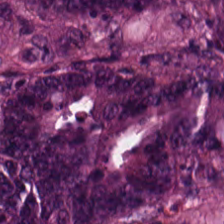Stain: hematoxylin and eosin.
Preparation: formalin-fixed paraffin-embedded section.
Predominant tissue: adenocarcinoma.
